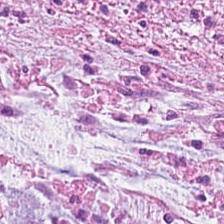FFPE tissue section. Hematoxylin and eosin — The predominant tissue is cancer-associated stroma.
